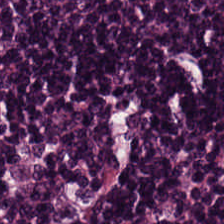H&E stain. 20× equivalent magnification. Tissue class = lymphoid infiltrate.
